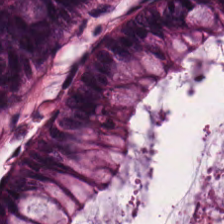Hematoxylin-and-eosin stained section; 0.5 microns per pixel. {"tissue_type": "benign colonic mucosa"}
